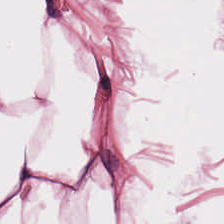Hematoxylin and eosin — Predominantly fat tissue.
